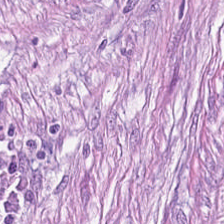H&E stain — The tissue here is cancer-associated stroma.
